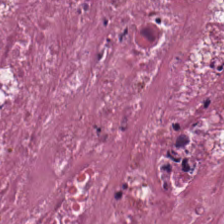Hematoxylin-and-eosin stained section.
The tissue class is necrotic debris.
